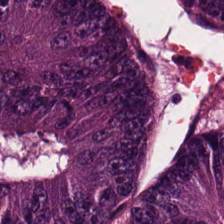Predominant tissue: colorectal adenocarcinoma epithelium.
